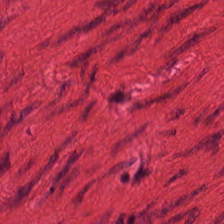Hematoxylin and eosin — Tissue — smooth muscle.
